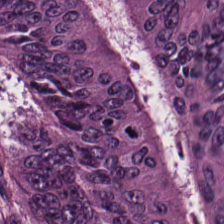Q: What type of tissue is this?
A: It is colorectal adenocarcinoma.
